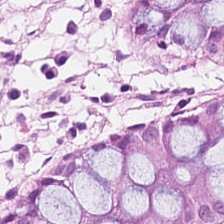Whole-slide-image patch; hematoxylin and eosin — {"tissue_type": "benign colonic mucosa"}
